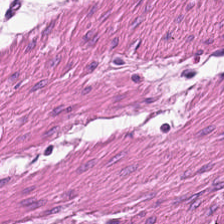H&E; 224×224 px tile. {"tissue_type": "smooth muscle"}
